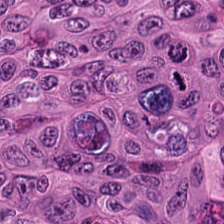H&E. 224×224 px patch. FFPE tissue section. Impression — colorectal adenocarcinoma epithelium.
